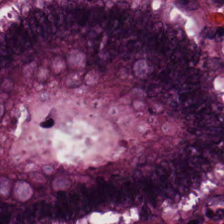H&E stain. This field is non-neoplastic colon mucosa.
